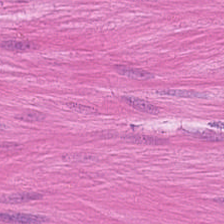Hematoxylin and eosin.
Tissue = smooth-muscle tissue.
